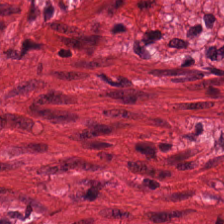H&E-stained tissue section; WSI patch.
{"tissue_type": "muscularis"}
